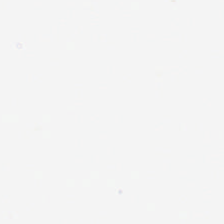224×224 px tile; H&E-stained tissue section; 20× equivalent magnification — Field content — background.
